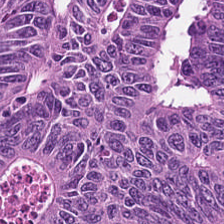Hematoxylin and eosin — This patch shows malignant epithelium.
